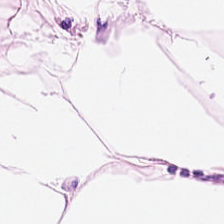Hematoxylin and eosin. Predominant tissue: adipose tissue.
